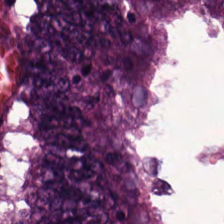Colorectal adenocarcinoma.
